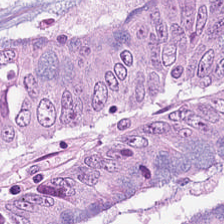Showing colorectal adenocarcinoma epithelium.
